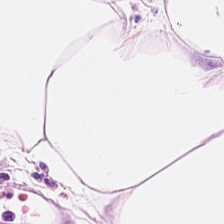Hematoxylin and eosin. 20× equivalent magnification. Brightfield microscopy. The predominant tissue is adipose tissue.
